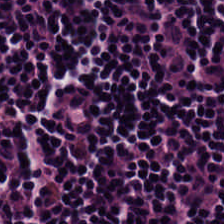Tissue type: lymphocytic infiltrate.
